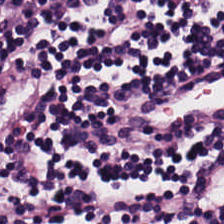H&E. Q: What is the predominant tissue type?
A: It is lymphoid infiltrate.
